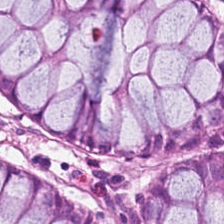H&E patch showing normal colonic mucosa.
